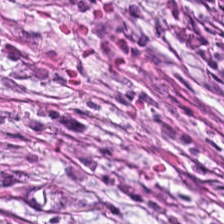H&E-stained section; the field shows cancer-associated stroma.
